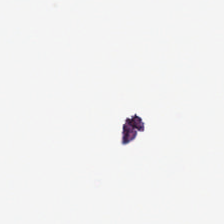0.5 µm/px. Hematoxylin and eosin. FFPE tissue section. Content = background.
